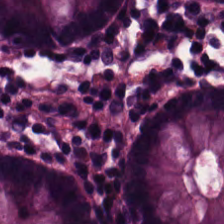Stain: H&E.
Classification: benign colonic mucosa.
